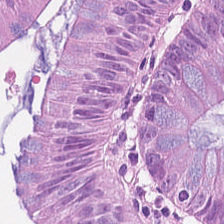Whole-slide-image patch. Hematoxylin-and-eosin stained section. Predominantly colorectal adenocarcinoma.
